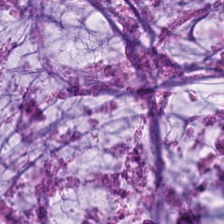224×224 pixel tile. 0.5 µm/px. H&E — The classification is extracellular mucin.
